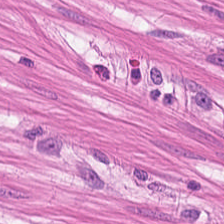Hematoxylin and eosin — Tissue class: smooth-muscle tissue.
